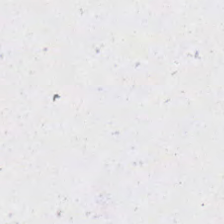Stain: H&E.
Classification: empty background.
